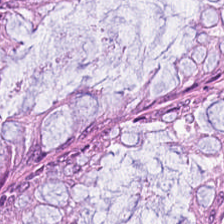Classification = normal colon mucosa.
